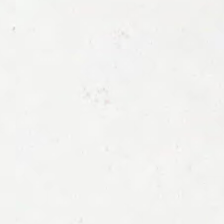Stain: H&E-stained tissue section.
Field content: no tissue.
